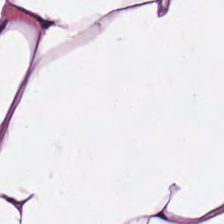Histology → fat tissue.
